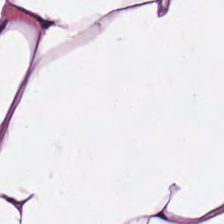Histology → fat tissue.
